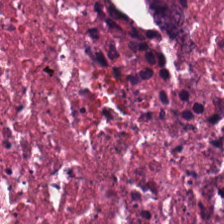H&E stain. This field is debris.
